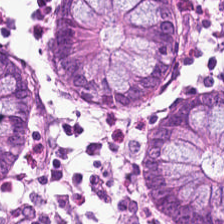H&E stain. Q: What is shown in this field?
A: The field shows normal colonic mucosa.
